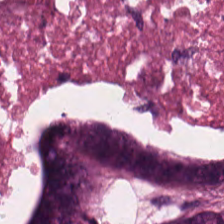H&E-stained tissue section; whole-slide-image patch; FFPE — Tissue: debris.
